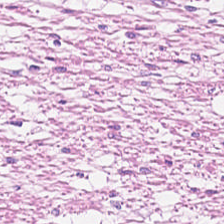Stain: hematoxylin-and-eosin stained section.
Tissue type: smooth-muscle tissue.
